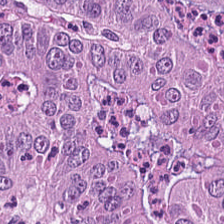224×224 px tile. 0.5 µm per pixel. Hematoxylin-and-eosin stained section.
{"tissue_type": "malignant epithelium"}
